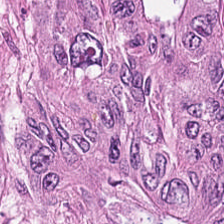224×224 pixel tile · formalin-fixed paraffin-embedded section · hematoxylin and eosin. {"tissue_type": "colorectal adenocarcinoma"}
